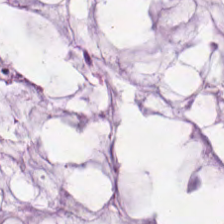Formalin-fixed paraffin-embedded section; H&E stain. The tissue here is mucus.
